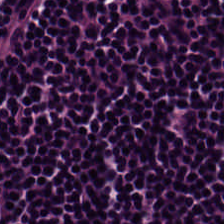Hematoxylin-and-eosin stained section; FFPE tissue section; 20× equivalent magnification — Q: Classify this patch.
A: The field shows lymphoid infiltrate.
